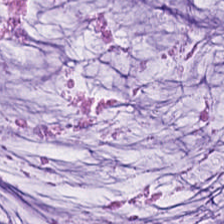Hematoxylin-and-eosin stained section. Showing mucus.
